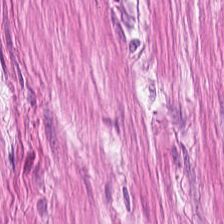Formalin-fixed paraffin-embedded section · H&E stain — The tissue type is smooth-muscle tissue.
